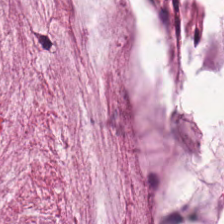Stain: H&E-stained tissue section.
Classification: mucin.
